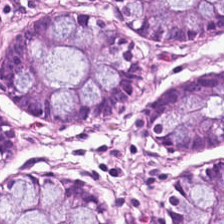Hematoxylin-and-eosin stained section. 0.5 microns per pixel. Histology → normal colon mucosa.
